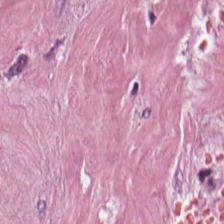Hematoxylin-and-eosin stained section. Q: What type of tissue is this?
A: Tumor-associated stroma.
